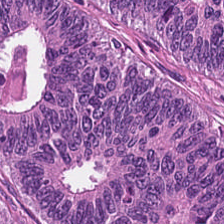0.5 µm per pixel · hematoxylin-and-eosin stained section.
The tissue type is tumor epithelium.
